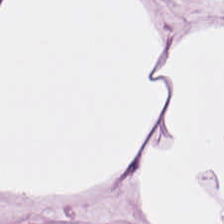Predominant tissue = adipose tissue.
